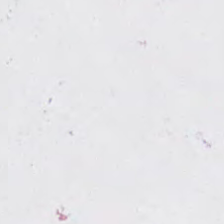H&E stain. This field is background (no tissue).
